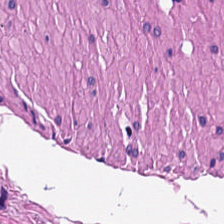H&E-stained tissue section. Q: What type of tissue is this?
A: It is smooth muscle.
